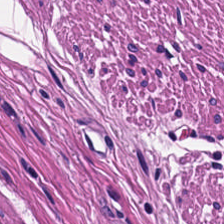FFPE tissue section · WSI patch · H&E — Histology → smooth muscle.
